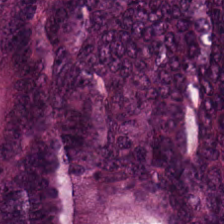H&E-stained tissue section; 0.5 microns per pixel.
Predominant tissue = colorectal adenocarcinoma epithelium.
